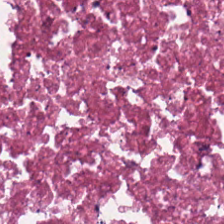Q: What does this patch show?
A: It is cellular debris.
